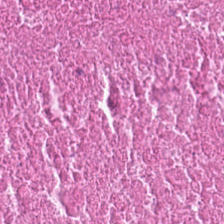0.5 µm per pixel · WSI patch · H&E-stained tissue section — Q: What tissue type is shown here?
A: It is necrotic debris.
